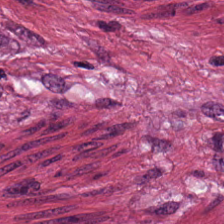H&E-stained tissue section · 224×224 pixel tile · brightfield.
Q: What is shown here?
A: This is tumor stroma.
